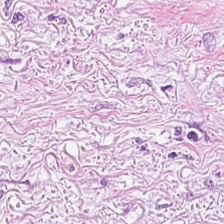H&E stain · 0.5 microns per pixel — Q: What tissue is shown?
A: Desmoplastic stroma.
